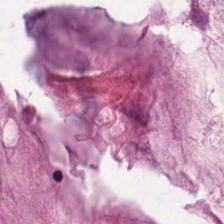Histology — extracellular mucin.
